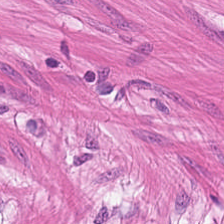Stain: hematoxylin-and-eosin stained section.
Tissue type: muscularis.
